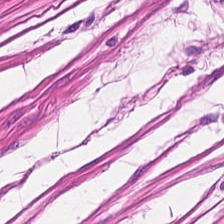0.5 microns per pixel; hematoxylin-and-eosin stained section. Finding — smooth muscle.
